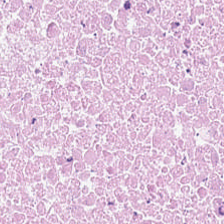Stain: hematoxylin-and-eosin stained section.
Tissue type: debris.
